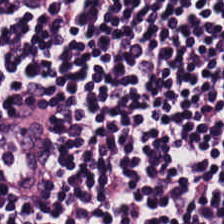Hematoxylin and eosin — Finding → lymphocytic infiltrate.
